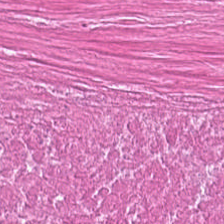Hematoxylin and eosin. Cellular debris.
